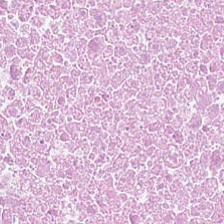H&E stain; 20× equivalent magnification — Debris.
